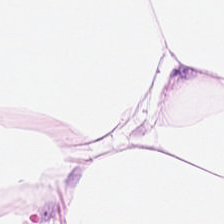FFPE tissue section. H&E-stained tissue section. Adipocytes.
